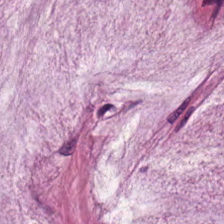H&E. Tissue — mucin.
